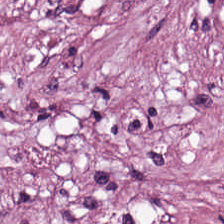H&E-stained tissue section.
Q: What is shown here?
A: This is tumor-associated stroma.
